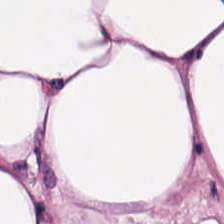Histology → adipose.
